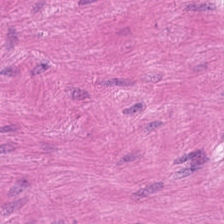Stain: hematoxylin and eosin.
Predominant tissue: smooth muscle.
